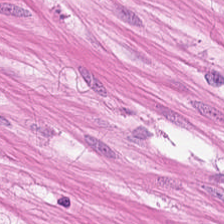Stain: hematoxylin and eosin.
Tissue type: muscularis.
